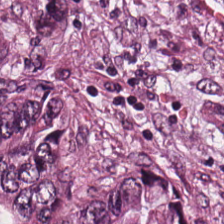Hematoxylin-and-eosin stained section · FFPE — The classification is tumor epithelium.
